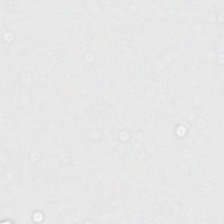Brightfield microscopy. H&E-stained tissue section — {"content": "empty background"}
